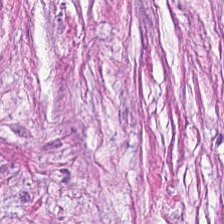H&E stain. Tissue type: tumor-associated stroma.
